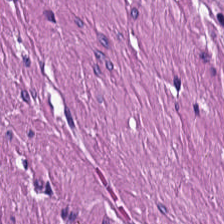Q: What tissue type is shown here?
A: This is muscularis.
